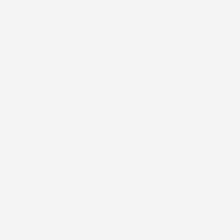Empty field — background (no tissue).
